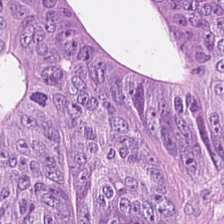H&E stain · 0.5 µm per pixel · 224×224 pixel tile — Predominantly malignant epithelium.
